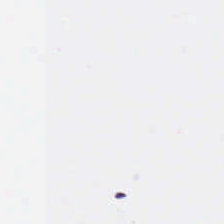224×224 px patch; H&E stain; 0.5 µm/px — This field is background (no tissue).
